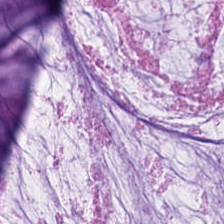Predominant tissue = mucin.
